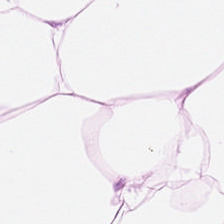{"tissue_type": "fat tissue"}
